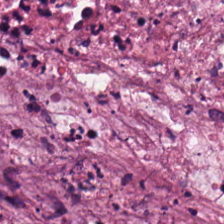Hematoxylin-and-eosin section: necrotic debris.
